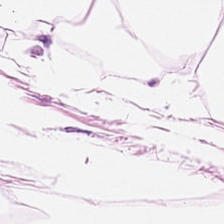H&E stain; formalin-fixed paraffin-embedded section; whole-slide-image patch.
Tissue type — adipose.
